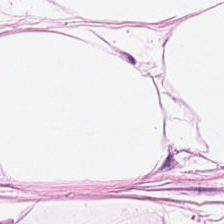H&E patch showing adipose tissue.
